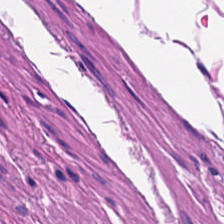Hematoxylin and eosin. Tissue type — smooth-muscle tissue.
